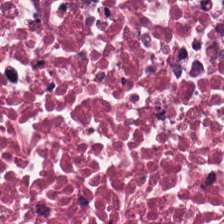H&E stain · brightfield.
Impression — necrotic debris.
